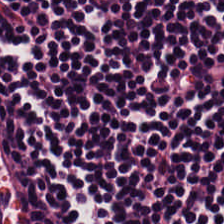H&E stain · 20× equivalent magnification. Showing lymphocytic infiltrate.
